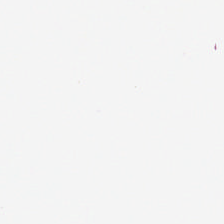H&E stain.
Background — no tissue in this field.
